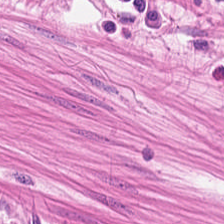H&E-stained tissue section. Predominant tissue = smooth-muscle tissue.
